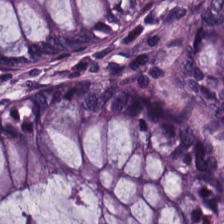Hematoxylin-and-eosin stained section. This field is normal colon mucosa.
